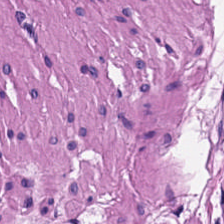Tissue class — smooth muscle.
